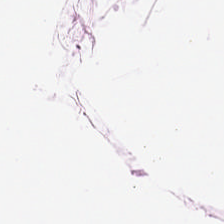H&E — Showing fat tissue.
